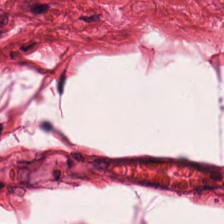Hematoxylin and eosin.
The tissue class is smooth muscle.
